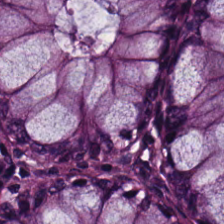H&E-stained tissue section.
This field is non-neoplastic colon mucosa.
